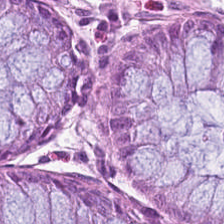The classification is non-neoplastic colon mucosa.
